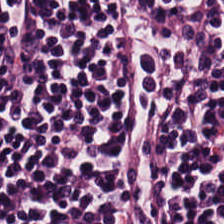Hematoxylin-and-eosin stained section. Formalin-fixed paraffin-embedded section — Histology → lymphoid infiltrate.
